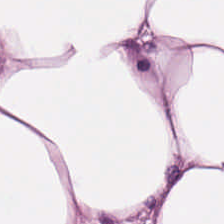Predominantly fat tissue.
